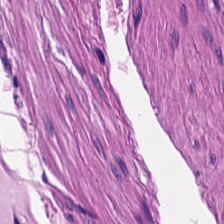H&E-stained tissue section. Classification: smooth muscle.
